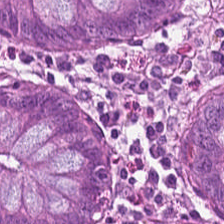Stain: H&E-stained tissue section.
Tissue type: non-neoplastic colon mucosa.
